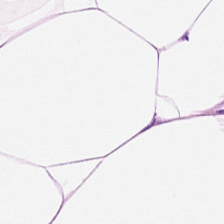This patch shows adipocytes.
